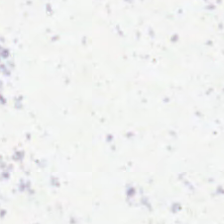Hematoxylin and eosin. No tissue.
